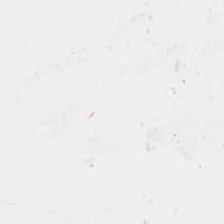Background (no tissue).
